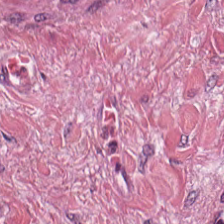H&E-stained tissue section · FFPE tissue section.
Showing tumor stroma.
